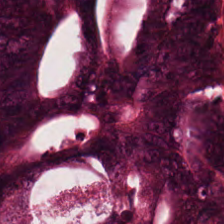224×224 px patch; hematoxylin-and-eosin stained section — Tissue type — adenocarcinoma.
